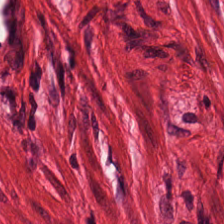Predominant tissue = smooth-muscle tissue.
